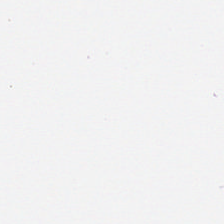H&E stain — Q: What is shown here?
A: It is background.
